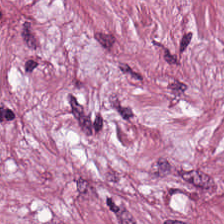H&E-stained tissue section — Finding — tumor stroma.
